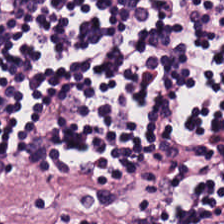Stain: hematoxylin-and-eosin stained section.
Predominant tissue: lymphocytes.
